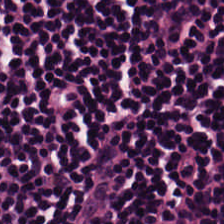H&E stain.
This field is lymphoid infiltrate.
